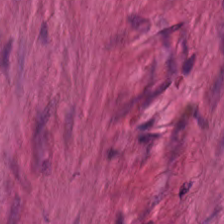Whole-slide-image patch · 224×224 px tile · hematoxylin-and-eosin stained section.
Tissue type = muscularis.
